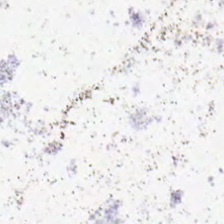Formalin-fixed paraffin-embedded section · whole-slide-image patch · hematoxylin-and-eosin stained section. This patch shows empty background.
